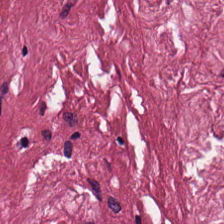Formalin-fixed paraffin-embedded section; hematoxylin-and-eosin stained section. Tissue: cancer-associated stroma.
